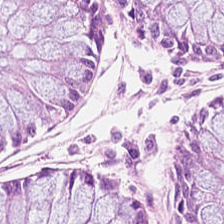Hematoxylin-and-eosin stained section.
The tissue is non-neoplastic colon mucosa.
